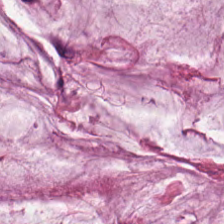H&E; 20× equivalent magnification; WSI patch.
Classification: mucus.
